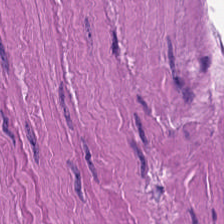Brightfield microscopy; H&E-stained tissue section; 224×224 px tile. Predominant tissue — smooth muscle.
